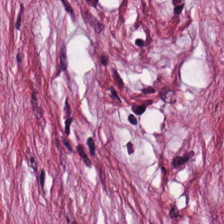Hematoxylin-and-eosin stained section. WSI patch. FFPE. Impression — cancer-associated stroma.
